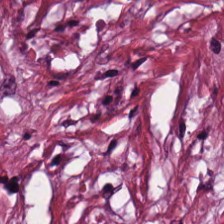Hematoxylin and eosin · 0.5 µm/px.
Classification: cancer-associated stroma.
